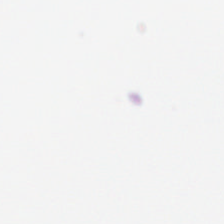Formalin-fixed paraffin-embedded section. H&E.
Content — background.
